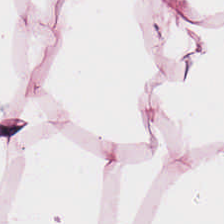H&E — fat tissue.
